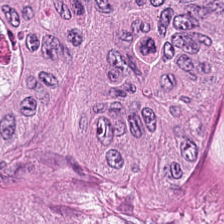Stain: H&E-stained tissue section.
Classification: adenocarcinoma.
